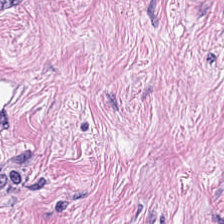H&E-stained tissue section. WSI patch. Formalin-fixed paraffin-embedded section.
Tissue type = tumor-associated stroma.
